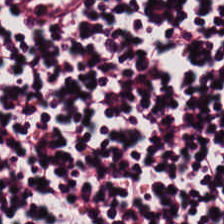H&E stain. Showing lymphoid infiltrate.
